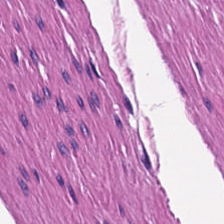H&E-stained tissue section.
The tissue here is smooth muscle.
